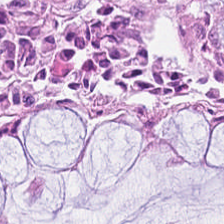Stain: H&E stain.
Predominant tissue: normal colonic mucosa.
